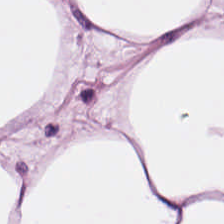Stain: hematoxylin and eosin.
Tissue class: adipocytes.
